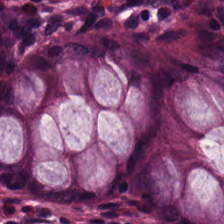Predominant tissue: normal colon mucosa.
